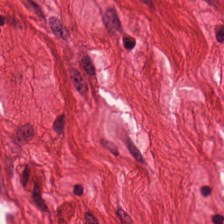H&E; 224×224 px patch.
Predominantly smooth-muscle tissue.
